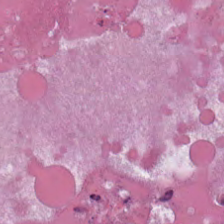Hematoxylin and eosin — This field is cellular debris.
